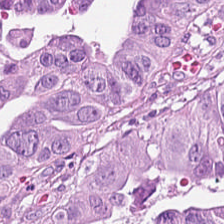H&E. 0.5 µm/px. Predominantly colorectal adenocarcinoma.
